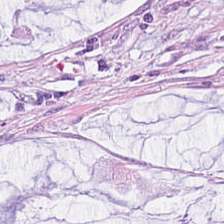H&E stain — Tissue = mucin.
